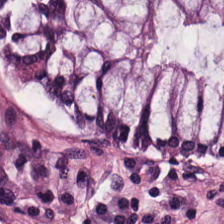Hematoxylin and eosin. {"tissue_type": "benign colonic mucosa"}
